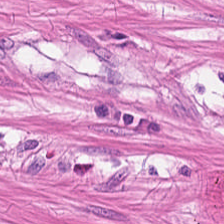0.5 µm per pixel; brightfield microscopy; H&E-stained tissue section. The tissue class is muscularis.
